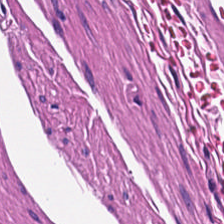H&E stain — This field is smooth-muscle tissue.
